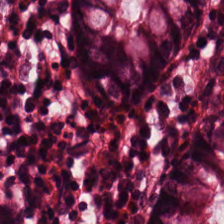H&E stain. Tissue: benign colonic mucosa.
